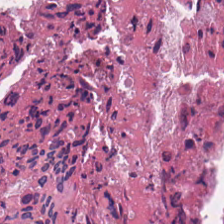H&E. Predominantly debris.
